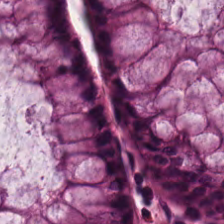Hematoxylin and eosin.
Tissue type — non-neoplastic colon mucosa.
